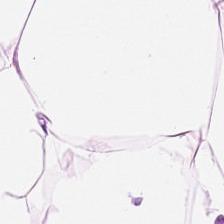Hematoxylin-and-eosin stained section. The predominant tissue is adipose.
